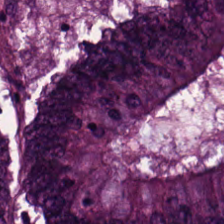Hematoxylin-and-eosin stained section.
{"tissue_type": "malignant epithelium"}
